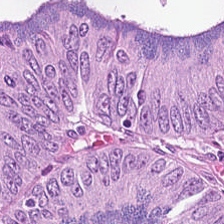H&E-stained tissue section — Classification = colorectal adenocarcinoma epithelium.
